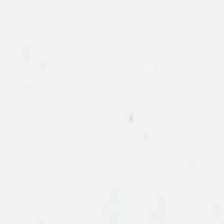Stain: hematoxylin and eosin.
Classification: no tissue.
